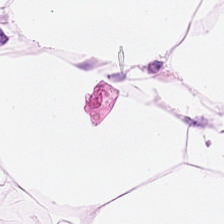Hematoxylin and eosin. 20× equivalent magnification.
The tissue is adipocytes.
